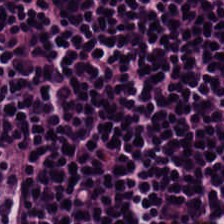Hematoxylin-and-eosin stained section — The predominant tissue is lymphocyte aggregate.
